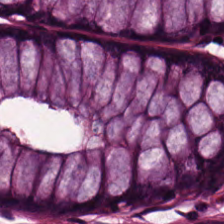Stain: hematoxylin-and-eosin stained section.
Tile size: 224×224 pixel tile.
Acquisition: WSI patch.
Tissue type: normal colonic mucosa.
